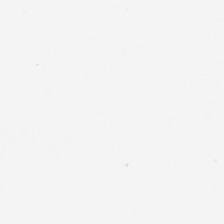0.5 µm/px. Formalin-fixed paraffin-embedded section. Hematoxylin-and-eosin stained section.
Classification: background.
